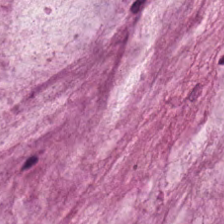Hematoxylin and eosin; brightfield. Finding — mucus.
